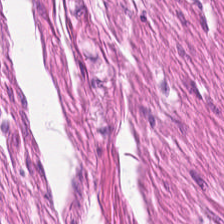H&E-stained tissue section.
Tissue class: muscularis.
